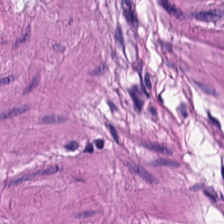Hematoxylin and eosin · FFPE tissue section — This field is muscularis.
